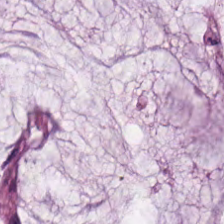Stain: H&E stain.
Classification: mucin.
